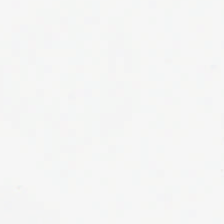FFPE tissue section · H&E-stained tissue section · 0.5 µm per pixel. The classification is empty background.
